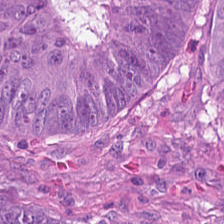{"tissue_type": "malignant epithelium"}
